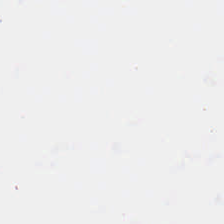H&E-stained tissue section. FFPE. 224×224 px tile. This patch shows background.
